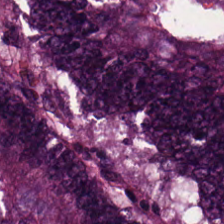0.5 µm per pixel · hematoxylin-and-eosin stained section · FFPE.
Tissue class — colorectal adenocarcinoma epithelium.
